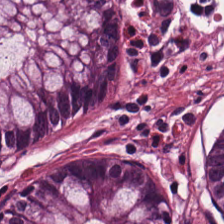Tissue type: benign colonic mucosa.
